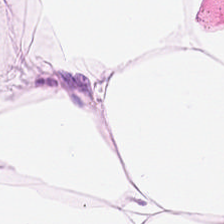Hematoxylin and eosin — Tissue class — fat tissue.
